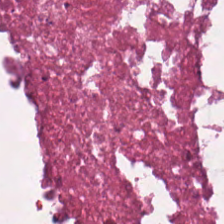Finding → necrotic debris.
